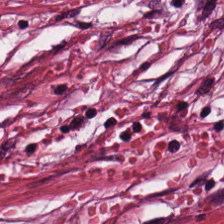Q: Identify the tissue.
A: It is cancer-associated stroma.
